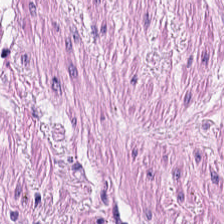Classification — smooth-muscle tissue.
